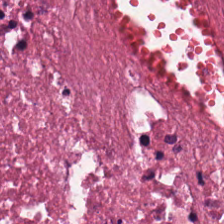Tissue type — debris.
